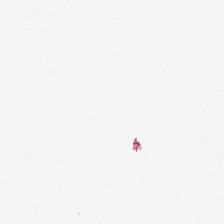No tissue.
